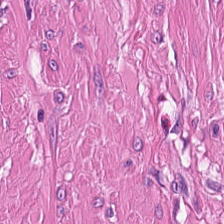Formalin-fixed paraffin-embedded section; 224×224 px tile; H&E. Tissue type: smooth-muscle tissue.
